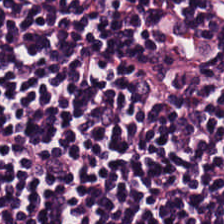Formalin-fixed paraffin-embedded section; H&E-stained tissue section; 20× equivalent magnification.
This patch shows lymphocytes.
